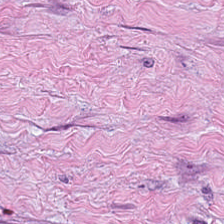Stain: hematoxylin-and-eosin stained section.
Predominant tissue: tumor-associated stroma.
